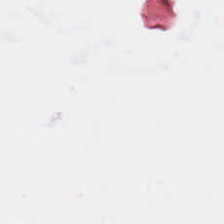H&E stain. Histology — empty background.
